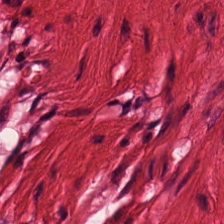H&E stain.
Tissue — smooth muscle.
